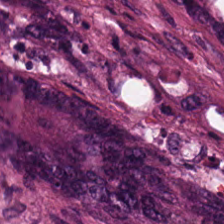Hematoxylin-and-eosin stained section.
Histology — tumor epithelium.
